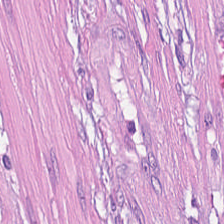FFPE tissue section · H&E. This field is tumor stroma.
